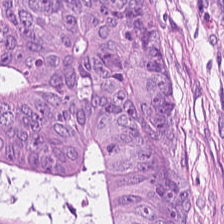The tissue class is colorectal adenocarcinoma.
